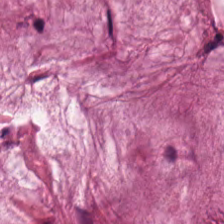20× equivalent magnification; hematoxylin-and-eosin stained section. The predominant tissue is extracellular mucin.
